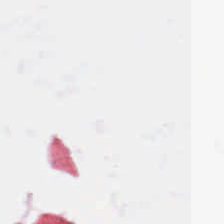Q: What does this patch show?
A: It is background (no tissue).
